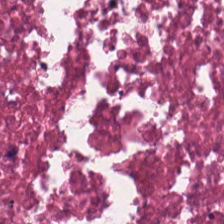224×224 px tile. H&E stain — This field is necrotic debris.
